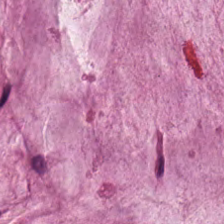H&E. Classification — mucus.
